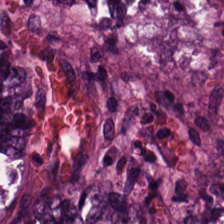H&E-stained tissue section · FFPE · whole-slide-image patch.
This patch shows adenocarcinoma.
